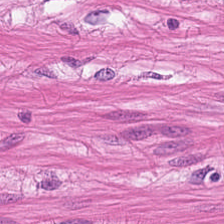Brightfield microscopy. H&E-stained tissue section — This field is muscularis.
